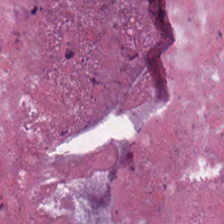224×224 px tile · H&E-stained tissue section. The classification is debris.
